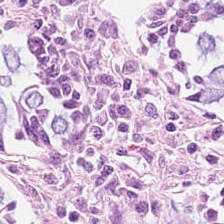224×224 px tile · H&E.
Q: What tissue type is shown here?
A: The field shows non-neoplastic colon mucosa.
